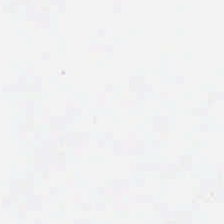Stain: H&E.
Content: empty background.
